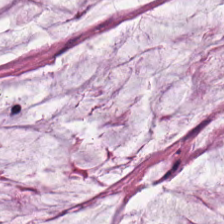Histology — mucus.
